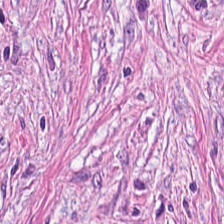H&E stain. Predominant tissue — desmoplastic stroma.
